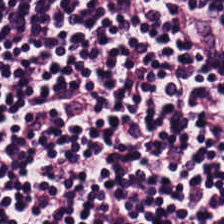H&E — This field is lymphoid infiltrate.
